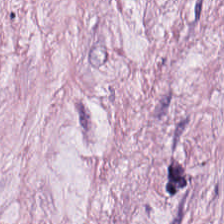224×224 px tile · H&E-stained tissue section · FFPE tissue section.
The tissue class is tumor-associated stroma.
